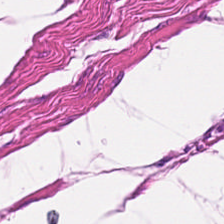Stain: H&E-stained tissue section.
Tissue class: muscularis.
